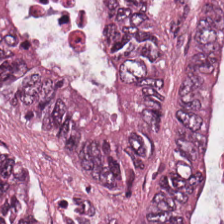Stain: H&E-stained tissue section.
Preparation: formalin-fixed paraffin-embedded section.
Classification: adenocarcinoma.
